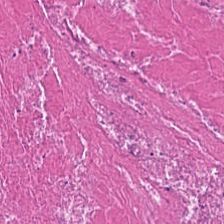H&E stain — Tissue type: necrotic debris.
